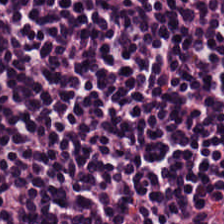H&E-stained tissue section — Q: What is shown in this field?
A: It is lymphocytes.
